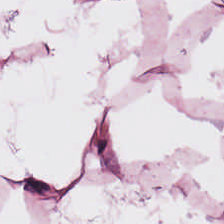0.5 µm per pixel · FFPE · H&E stain — Adipose tissue.
